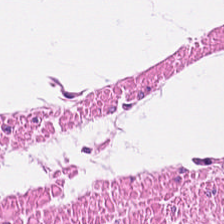The tissue here is muscularis.
